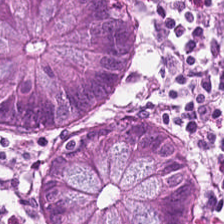H&E stain; whole-slide-image patch; FFPE tissue section — Classification — benign colonic mucosa.
